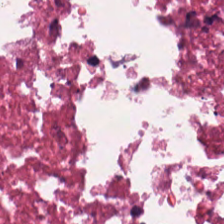H&E — Tissue class: cellular debris.
